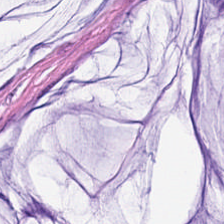Hematoxylin-and-eosin stained section — Showing mucus.
